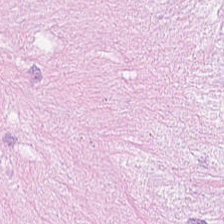224×224 pixel tile. H&E. Brightfield — The predominant tissue is tumor-associated stroma.
